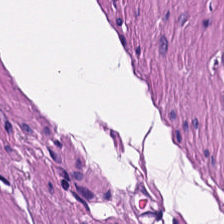H&E stain. 0.5 microns per pixel. Whole-slide-image patch.
The predominant tissue is muscularis.
